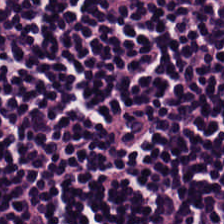H&E — lymphocytic infiltrate.
